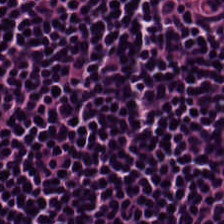Hematoxylin and eosin. The predominant tissue is lymphocytes.
